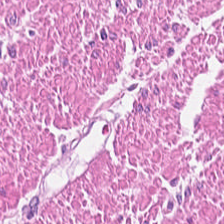Formalin-fixed paraffin-embedded section. H&E.
Histology — muscularis.
